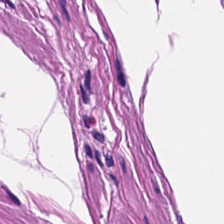Q: What is shown in this field?
A: It is smooth muscle.
